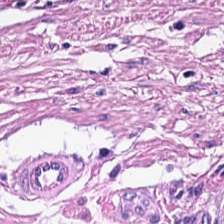224×224 pixel tile · hematoxylin and eosin · FFPE tissue section.
Q: What is shown in this field?
A: Muscularis.
